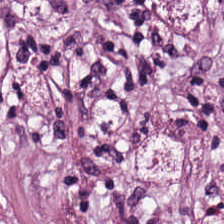Hematoxylin and eosin.
Histology — tumor stroma.
